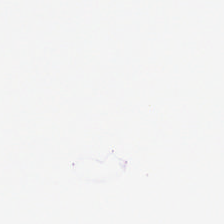Hematoxylin and eosin; 0.5 µm per pixel. Q: Classify this patch.
A: It is background (no tissue).
